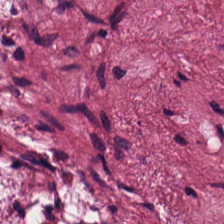The tissue is desmoplastic stroma.
